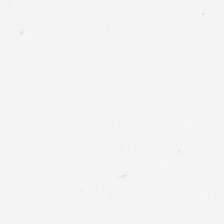H&E stain.
The content is no tissue.
